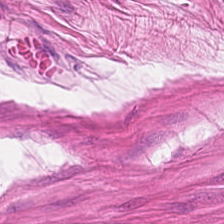Smooth muscle.
